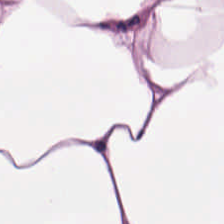Hematoxylin-and-eosin stained section; FFPE tissue section; 20× equivalent magnification.
Q: What is the predominant tissue type?
A: This is adipose tissue.
